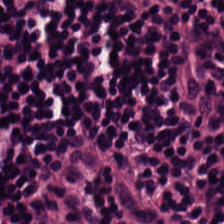H&E-stained tissue section.
Q: What tissue type is shown here?
A: The field shows lymphoid infiltrate.
